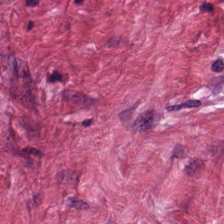Showing desmoplastic stroma.
